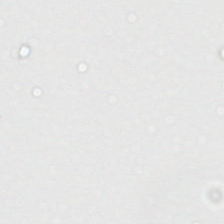H&E stain · FFPE — Classification — background (no tissue).
